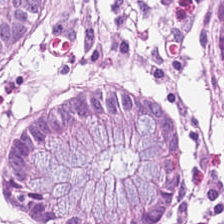Stain: hematoxylin and eosin.
Classification: non-neoplastic colon mucosa.
